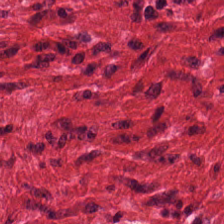H&E. FFPE tissue section.
The predominant tissue is muscularis.
